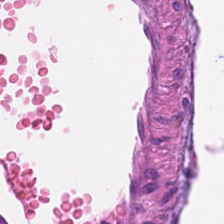Q: What type of tissue is this?
A: The field shows smooth-muscle tissue.
